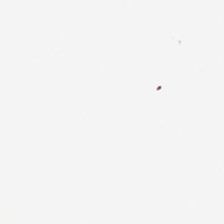Hematoxylin and eosin · brightfield. Field content = no tissue.
